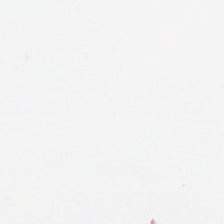Background — no tissue in this field.
